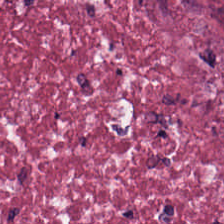Q: What tissue is shown?
A: Tumor-associated stroma.
